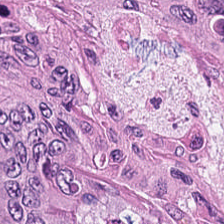Hematoxylin-and-eosin stained section.
Predominantly colorectal adenocarcinoma epithelium.
